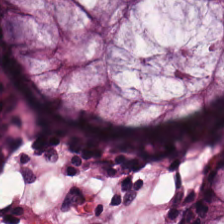224×224 pixel tile · H&E-stained tissue section.
Predominantly normal colon mucosa.
